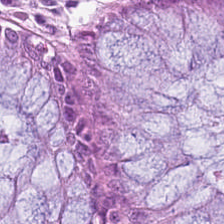Formalin-fixed paraffin-embedded section. H&E stain.
Q: What is the predominant tissue type?
A: Non-neoplastic colon mucosa.
